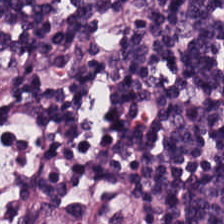Hematoxylin-and-eosin stained section · FFPE — Q: What tissue is shown?
A: The field shows lymphocyte aggregate.
